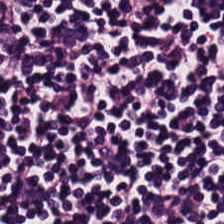Histology — lymphocyte aggregate.
